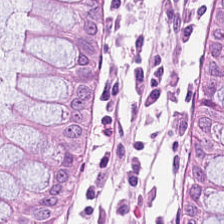Hematoxylin-and-eosin stained section. Whole-slide-image patch. 20× equivalent magnification. Q: What type of tissue is this?
A: The field shows benign colonic mucosa.
